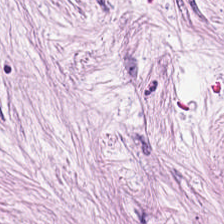Brightfield microscopy · H&E stain · FFPE — Finding — tumor stroma.
